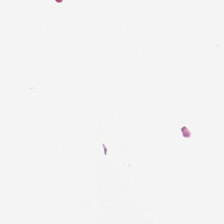Hematoxylin-and-eosin stained section.
Q: What is shown here?
A: The field shows empty background.
